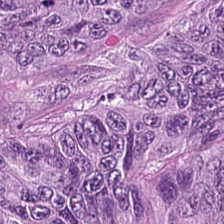Hematoxylin and eosin — This field is colorectal adenocarcinoma.
